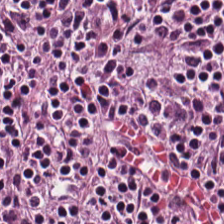Stain: hematoxylin and eosin.
Classification: lymphocytic infiltrate.
